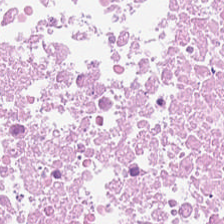H&E — Tissue: cellular debris.
